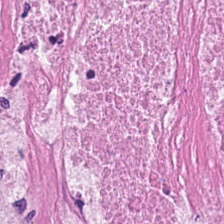Whole-slide-image patch. Formalin-fixed paraffin-embedded section. Hematoxylin and eosin.
The tissue type is cellular debris.
